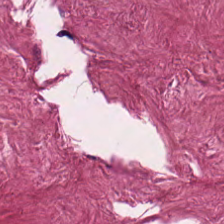FFPE. 20× equivalent magnification. Hematoxylin-and-eosin stained section.
Q: What is the predominant tissue type?
A: This is tumor stroma.
